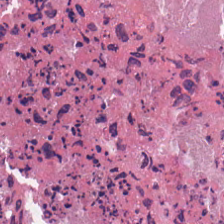Stain: hematoxylin and eosin.
Acquisition: brightfield.
Tissue: necrotic debris.
